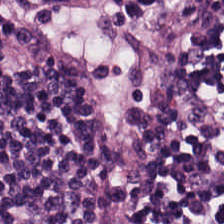Brightfield microscopy. H&E-stained tissue section.
Classification = lymphoid infiltrate.
